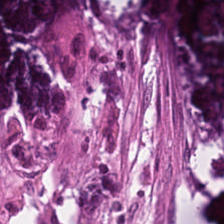H&E. Finding → necrotic debris.
